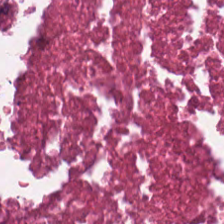Hematoxylin and eosin.
Q: What tissue type is shown here?
A: It is necrotic debris.
